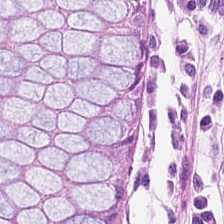224×224 px patch · hematoxylin and eosin.
Q: What does this patch show?
A: It is normal colon mucosa.
